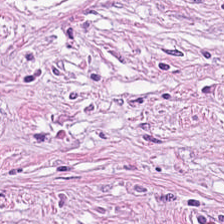224×224 px tile. H&E-stained tissue section.
This patch shows tumor stroma.
